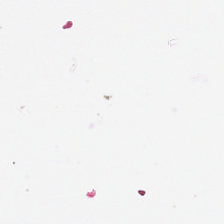20× equivalent magnification. Hematoxylin and eosin. WSI patch — This field is background (no tissue).
